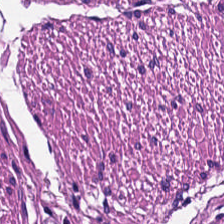H&E. This field is smooth muscle.
